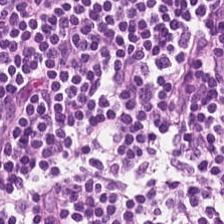H&E-stained tissue section. Lymphocytic infiltrate.
